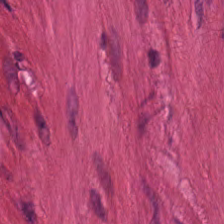H&E stain. 224×224 px tile. Brightfield microscopy — Showing smooth-muscle tissue.
